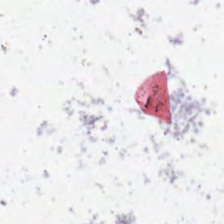This patch shows background (no tissue).
